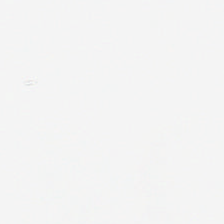Hematoxylin and eosin. 0.5 µm per pixel. Content — background.
